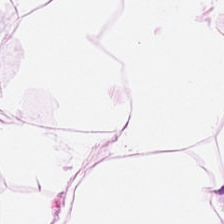Hematoxylin and eosin.
Q: What tissue type is shown here?
A: Adipose tissue.
